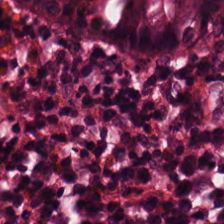Histology → normal colonic mucosa.
